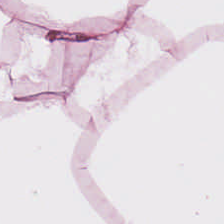FFPE; H&E; 224×224 px tile.
Tissue class: fat tissue.
